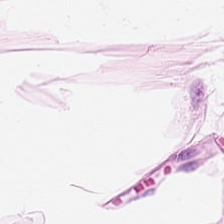Hematoxylin-and-eosin stained section.
Tissue class — adipose.
